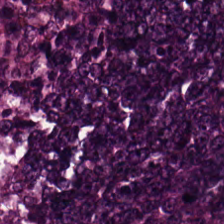Colorectal adenocarcinoma epithelium.
